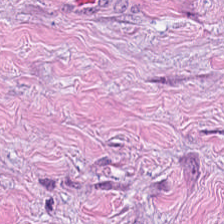Hematoxylin-and-eosin stained section.
Histology → tumor-associated stroma.
